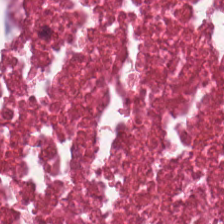H&E stain · formalin-fixed paraffin-embedded section · 0.5 microns per pixel.
Histology — cellular debris.
